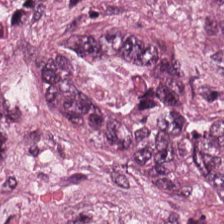224×224 px tile; FFPE; hematoxylin and eosin — This patch shows colorectal adenocarcinoma.
